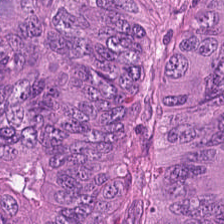Stain: H&E-stained tissue section.
Tile size: 224×224 px patch.
Acquisition: whole-slide-image patch.
Tissue type: adenocarcinoma.
